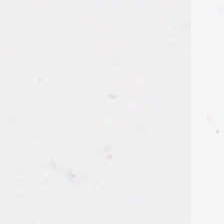H&E — Q: What does this patch show?
A: The field shows background (no tissue).
